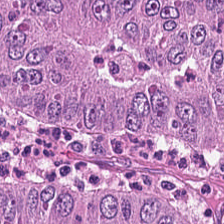H&E-stained tissue section — Classification: tumor epithelium.
